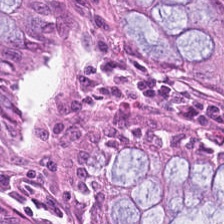Stain: hematoxylin and eosin.
Tissue: normal colonic mucosa.
